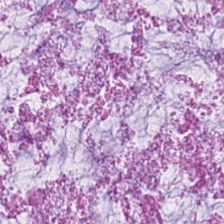H&E-stained tissue section · 224×224 px patch · brightfield microscopy.
This field is mucus.
